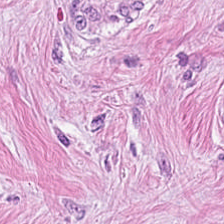H&E-stained tissue section. Histology → cancer-associated stroma.
